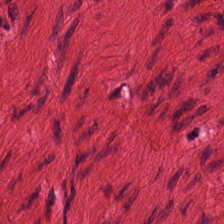224×224 pixel tile; H&E stain. This field is smooth muscle.
